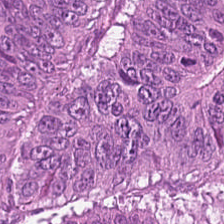Classification = tumor epithelium.
